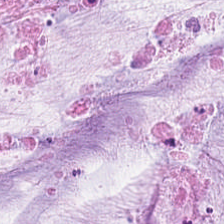Hematoxylin-and-eosin stained section · 224×224 px patch — Showing mucus.
